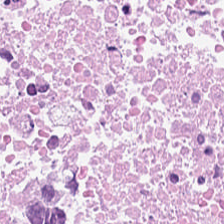Histology — debris.
